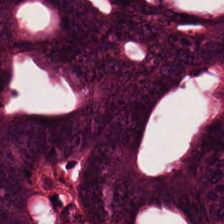Hematoxylin and eosin. Histology → colorectal adenocarcinoma.
